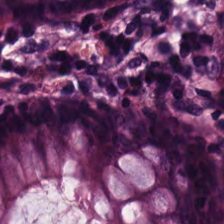{"tissue_type": "normal colon mucosa"}
